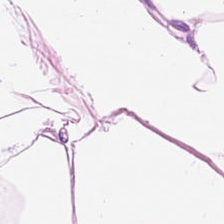Q: What type of tissue is this?
A: Fat tissue.
